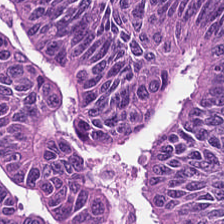The tissue here is adenocarcinoma.
